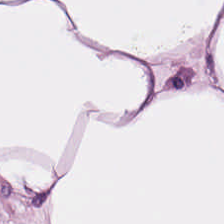H&E stain. This patch shows adipose.
